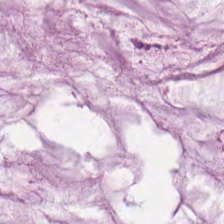Tissue type: extracellular mucin.
